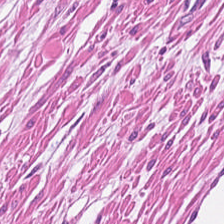H&E stain — Predominantly muscularis.
